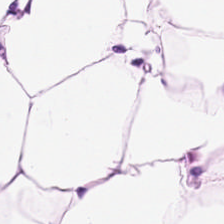Stain: H&E-stained tissue section.
Tissue: adipose.
